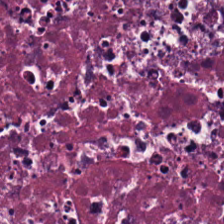H&E stain — This patch shows necrotic debris.
